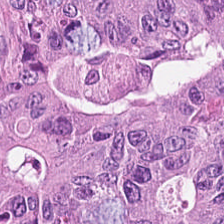H&E-stained tissue section; 20× equivalent magnification. Predominantly tumor epithelium.
